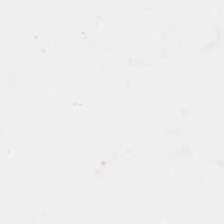Stain: H&E stain.
Classification: background (no tissue).
